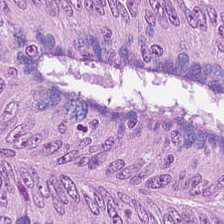Hematoxylin-and-eosin stained section; 0.5 microns per pixel. Predominantly adenocarcinoma.
